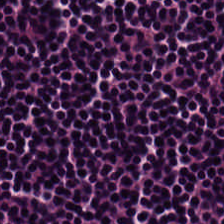Hematoxylin-and-eosin stained section. Q: What tissue is shown?
A: It is lymphoid infiltrate.
